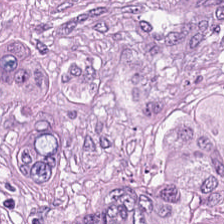Predominant tissue — malignant epithelium.
